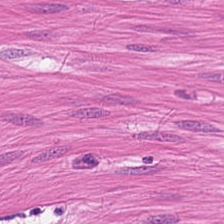Formalin-fixed paraffin-embedded section; H&E. The predominant tissue is smooth muscle.
